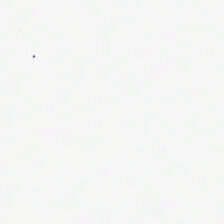H&E — {"content": "background"}
